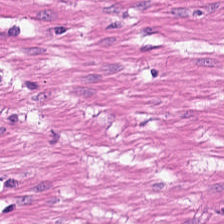Hematoxylin and eosin; FFPE tissue section; 0.5 microns per pixel — {"tissue_type": "muscularis"}
